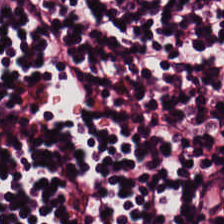224×224 pixel tile; H&E. Finding — lymphocyte aggregate.
